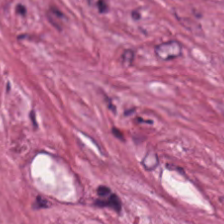Stain: H&E stain.
Tissue class: tumor-associated stroma.
